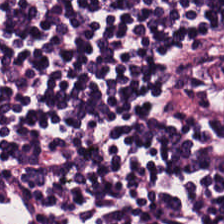Stain: hematoxylin-and-eosin stained section.
Acquisition: whole-slide-image patch.
Tissue type: lymphocytes.
